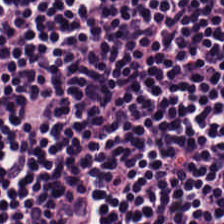H&E stain — This field is lymphocyte aggregate.
